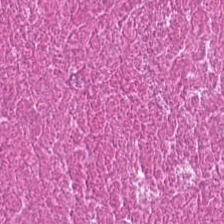H&E · 224×224 px patch · WSI patch.
Classification — necrotic debris.
